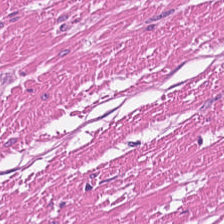FFPE. 224×224 pixel tile. H&E-stained tissue section — Predominant tissue = smooth-muscle tissue.
